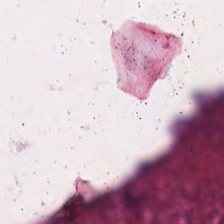Stain: hematoxylin-and-eosin stained section.
Resolution: 0.5 µm per pixel.
Preparation: FFPE tissue section.
Tissue: necrotic debris.
